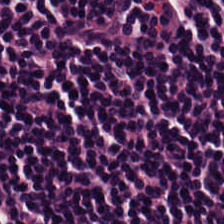224×224 px tile; FFPE; H&E-stained tissue section.
Tissue type — lymphoid infiltrate.
